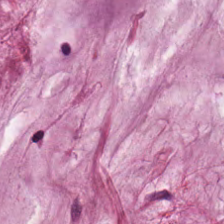Predominantly extracellular mucin.
